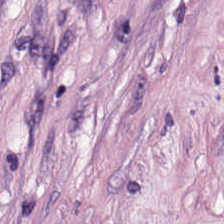FFPE; hematoxylin-and-eosin stained section. {"tissue_type": "cancer-associated stroma"}
